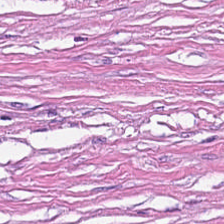H&E-stained section; the field shows tumor stroma.
